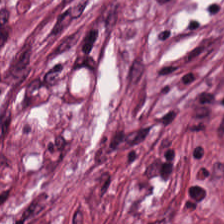H&E-stained tissue section; brightfield microscopy. The predominant tissue is tumor-associated stroma.
